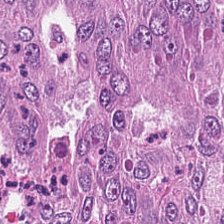H&E-stained tissue section. 224×224 px tile.
Finding → adenocarcinoma.
